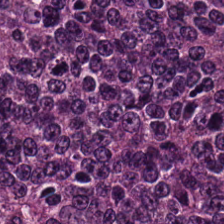Hematoxylin and eosin. {"tissue_type": "colorectal adenocarcinoma"}
